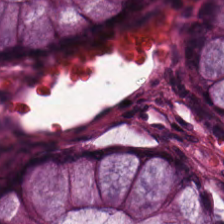H&E-stained tissue section.
This field is non-neoplastic colon mucosa.
